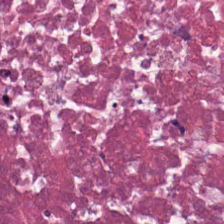Stain: H&E stain.
Classification: cellular debris.
